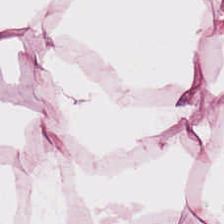Q: Classify this patch.
A: The field shows adipocytes.
